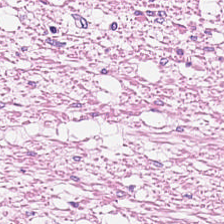Stain: H&E.
Predominant tissue: smooth muscle.
